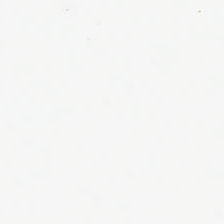0.5 µm per pixel. FFPE. Hematoxylin and eosin.
Classification: empty background.
